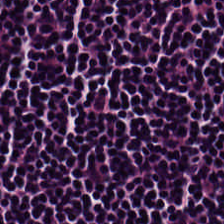0.5 microns per pixel; H&E stain. Tissue type = lymphoid infiltrate.
